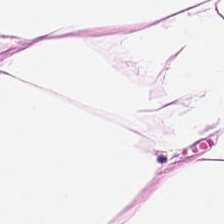Stain: H&E stain.
Tissue: adipose.
